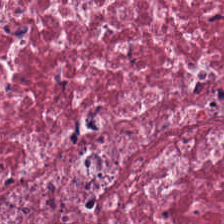H&E. Impression → tumor-associated stroma.
